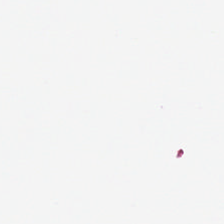H&E-stained tissue section — Q: Classify this patch.
A: It is background.
